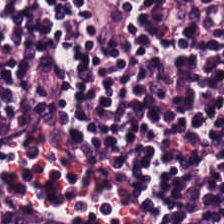H&E — Tissue class: lymphocyte aggregate.
